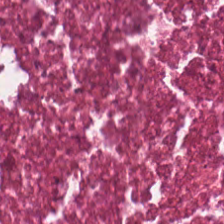H&E-stained tissue section — {"tissue_type": "cellular debris"}
